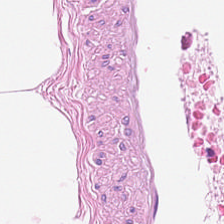224×224 px patch. WSI patch. H&E stain. This field is fat tissue.
